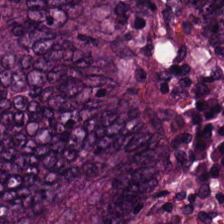Q: Identify the tissue.
A: Tumor epithelium.
